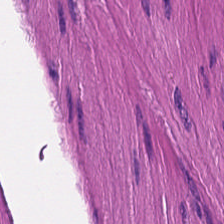H&E. {"tissue_type": "smooth-muscle tissue"}
